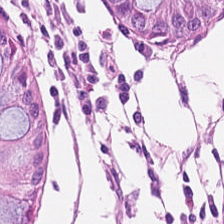H&E-stained tissue section. This field is benign colonic mucosa.
